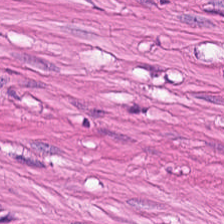Hematoxylin-and-eosin stained section. Whole-slide-image patch.
Tissue — smooth-muscle tissue.
